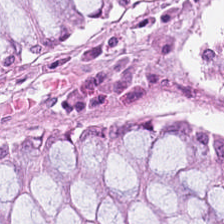H&E stain · FFPE · whole-slide-image patch — The predominant tissue is normal colonic mucosa.
